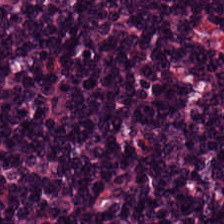Formalin-fixed paraffin-embedded section · H&E.
Tissue class — lymphocytic infiltrate.
